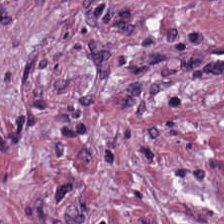H&E-stained tissue section.
Q: What is the predominant tissue type?
A: This is desmoplastic stroma.
